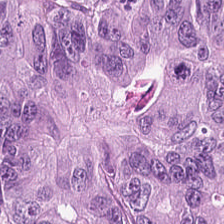Predominantly adenocarcinoma.
